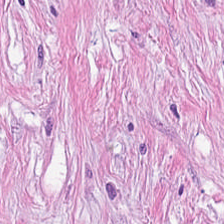WSI patch. Hematoxylin and eosin. FFPE tissue section. Histology → desmoplastic stroma.
